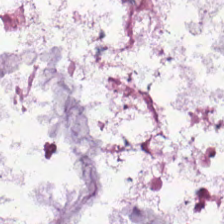Hematoxylin and eosin. Mucin.
